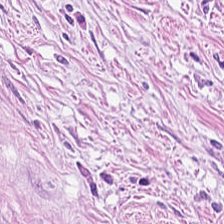0.5 µm per pixel. H&E-stained tissue section. Q: What tissue type is shown here?
A: Desmoplastic stroma.
